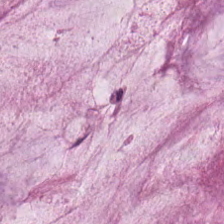Tissue: extracellular mucin.
